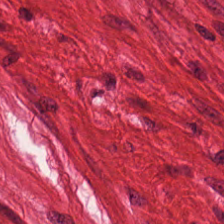H&E — This patch shows smooth-muscle tissue.
